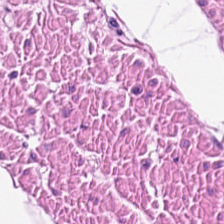Whole-slide-image patch. Hematoxylin and eosin.
Predominant tissue = muscularis.
